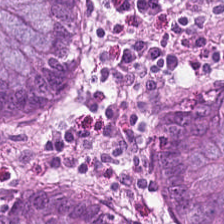Hematoxylin and eosin — The classification is benign colonic mucosa.
